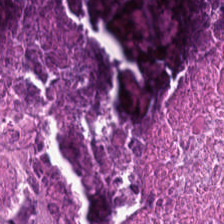20× equivalent magnification. FFPE tissue section. H&E stain.
Q: What is shown here?
A: Debris.
